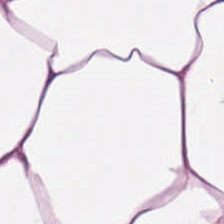Stain: hematoxylin-and-eosin stained section.
Predominant tissue: adipocytes.
